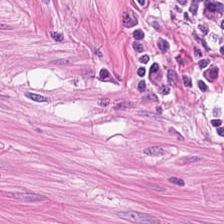Stain: hematoxylin and eosin.
Resolution: 0.5 microns per pixel.
Preparation: FFPE tissue section.
Tissue class: smooth-muscle tissue.
